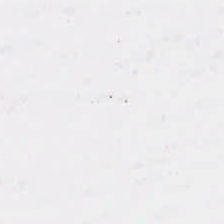H&E. The classification is background (no tissue).
